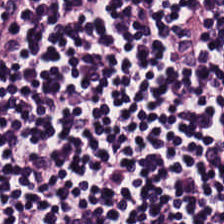Hematoxylin-and-eosin stained section; 224×224 px tile; whole-slide-image patch.
Impression → lymphoid infiltrate.
